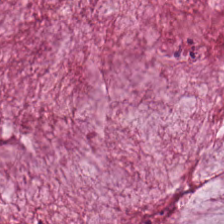Stain: H&E stain.
Classification: mucus.
